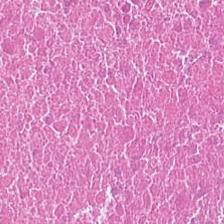FFPE; H&E-stained tissue section; 20× equivalent magnification. The predominant tissue is cellular debris.
